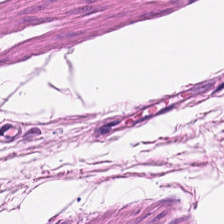Hematoxylin-and-eosin stained section. Showing muscularis.
